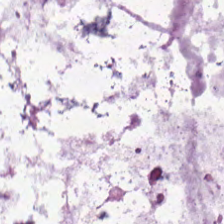H&E-stained tissue section. The predominant tissue is extracellular mucin.
